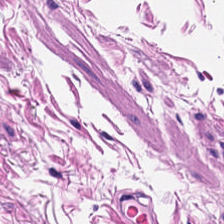Stain: H&E-stained tissue section.
Tissue: smooth muscle.
